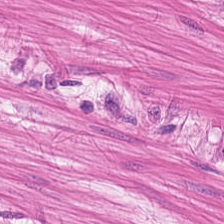Hematoxylin-and-eosin stained section.
This field is smooth muscle.
